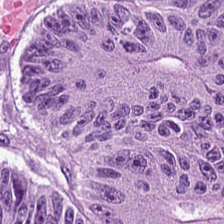{"tissue_type": "malignant epithelium"}
